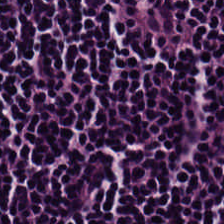Q: What is shown here?
A: Lymphocytes.
